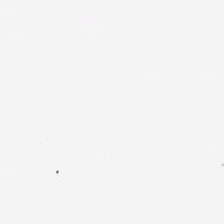Stain: H&E.
Field content: no tissue.
